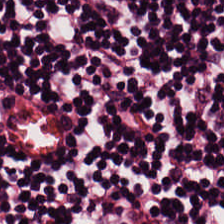H&E stain. Predominant tissue — lymphocyte aggregate.
